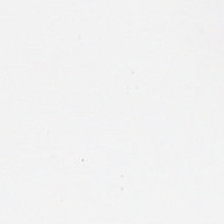H&E — Background (no tissue).
